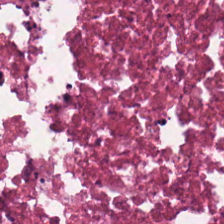Finding → debris.
